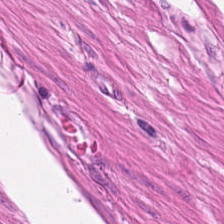Hematoxylin and eosin; WSI patch; FFPE tissue section — This field is muscularis.
